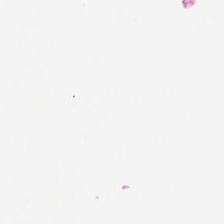Brightfield; 224×224 px patch; H&E-stained tissue section.
{"content": "background (no tissue)"}
